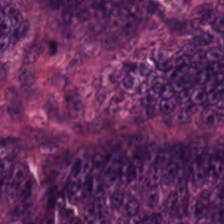H&E stain.
Showing tumor epithelium.
